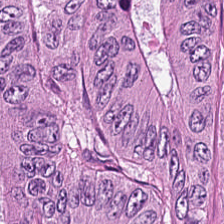H&E stain. Colorectal adenocarcinoma.
